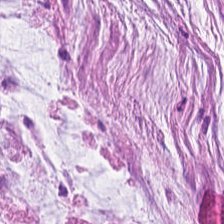Predominant tissue: mucus.
